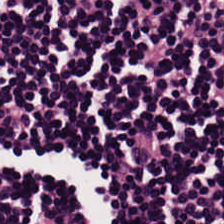Hematoxylin and eosin. Q: What tissue type is shown here?
A: Lymphocyte aggregate.
